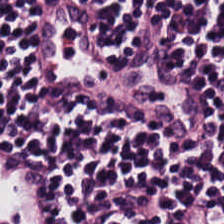H&E-stained tissue section; whole-slide-image patch. Q: What tissue type is shown here?
A: It is lymphocyte aggregate.
